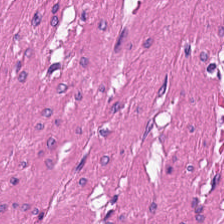H&E — Showing smooth-muscle tissue.
